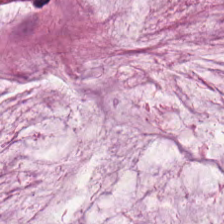Q: What does this patch show?
A: It is extracellular mucin.
